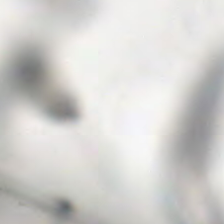Hematoxylin and eosin. Q: What is shown here?
A: This is no tissue.
